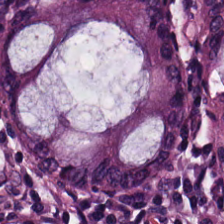Predominant tissue — benign colonic mucosa.
